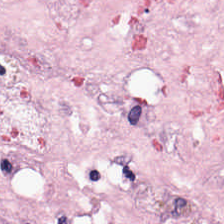H&E-stained tissue section.
Tissue type: tumor stroma.
